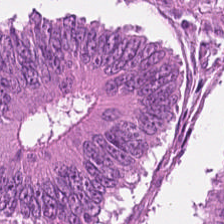Hematoxylin and eosin — Colorectal adenocarcinoma.
